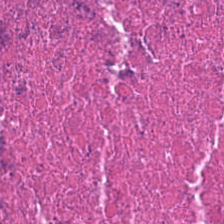H&E-stained tissue section · FFPE.
{"tissue_type": "cellular debris"}
